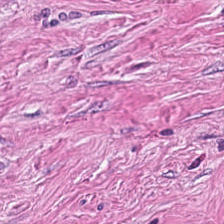Formalin-fixed paraffin-embedded section · H&E.
The tissue type is tumor-associated stroma.
